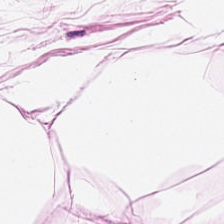Adipose tissue.
